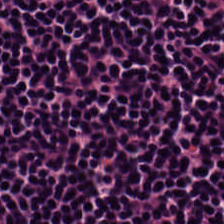H&E. Tissue class — lymphoid infiltrate.
